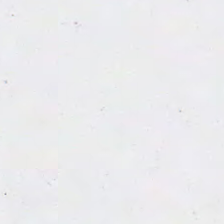No tissue.
